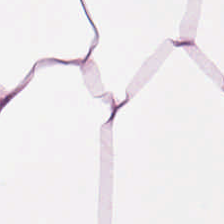Formalin-fixed paraffin-embedded section · H&E.
Predominant tissue — fat tissue.
